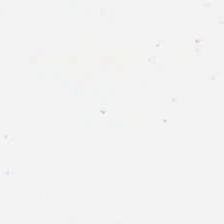Empty field — background.
